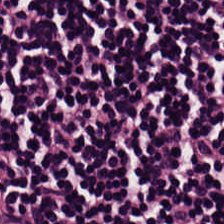H&E-stained tissue section showing lymphocytes.
